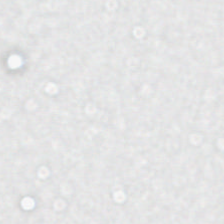H&E stain. Brightfield microscopy. Histology → no tissue.
